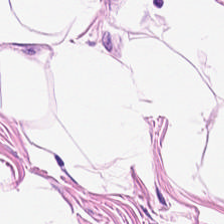H&E; 224×224 px patch; FFPE tissue section — Tissue type: adipocytes.
